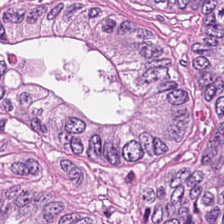H&E. Predominant tissue — colorectal adenocarcinoma.
